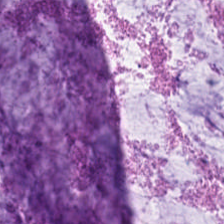H&E-stained tissue section.
This field is mucus.
